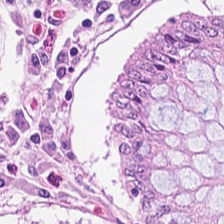Histology → non-neoplastic colon mucosa.
